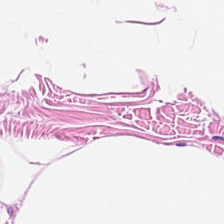H&E-stained tissue section.
Q: What type of tissue is this?
A: The field shows fat tissue.
